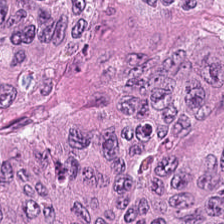The tissue here is malignant epithelium.
